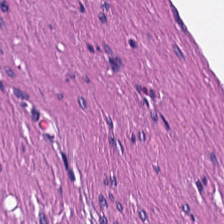Classification = muscularis.
